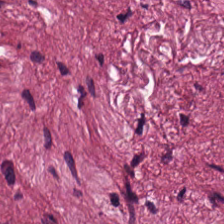Hematoxylin-and-eosin stained section.
This field is tumor-associated stroma.
